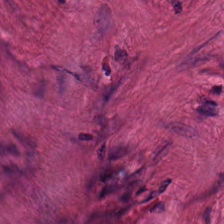224×224 px patch · 20× equivalent magnification · H&E-stained tissue section. Tissue — smooth muscle.
